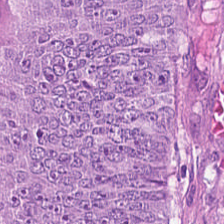0.5 µm per pixel. Hematoxylin and eosin — Tissue — malignant epithelium.
